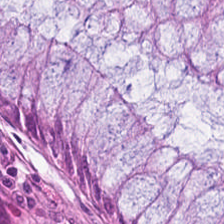H&E patch showing normal colonic mucosa.
